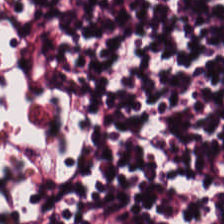0.5 microns per pixel; H&E-stained tissue section — Predominant tissue: lymphoid infiltrate.
